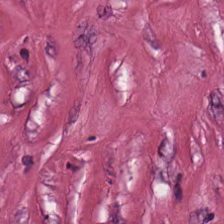H&E-stained tissue section — Q: What is shown in this field?
A: It is tumor-associated stroma.
